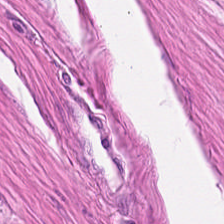Hematoxylin and eosin. FFPE tissue section. 0.5 microns per pixel. The tissue class is smooth muscle.
